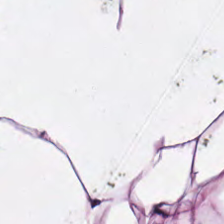Hematoxylin and eosin · 0.5 µm per pixel.
Impression — adipose tissue.
